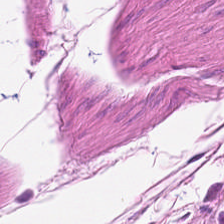0.5 microns per pixel · hematoxylin and eosin — This patch shows smooth-muscle tissue.
